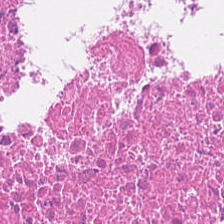Impression → cellular debris.
